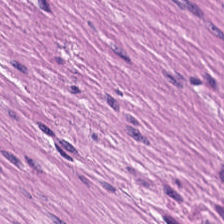H&E stain.
Impression — smooth-muscle tissue.
